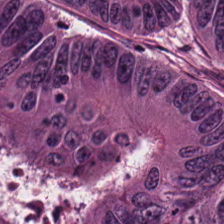Stain: H&E stain.
Tissue class: adenocarcinoma.
